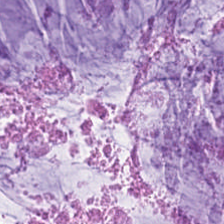H&E.
Finding → mucus.
